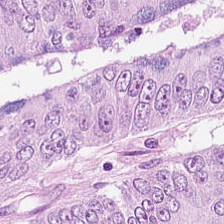Impression — adenocarcinoma.
